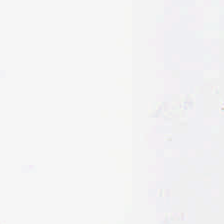Histology → background.
